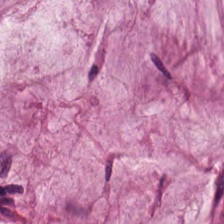Hematoxylin and eosin · 0.5 microns per pixel · 224×224 px patch — Tissue class = mucin.
